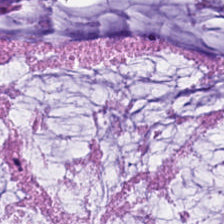Hematoxylin and eosin. Q: What tissue is shown?
A: This is extracellular mucin.
